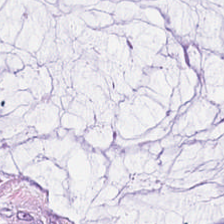H&E. 224×224 pixel tile. 0.5 microns per pixel — Q: What is the predominant tissue type?
A: Mucus.
